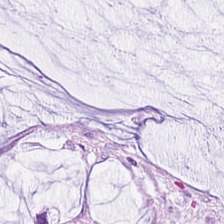Hematoxylin and eosin.
Impression — extracellular mucin.
